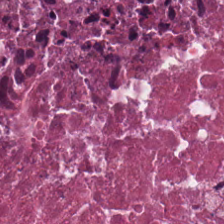H&E stain.
This patch shows debris.
